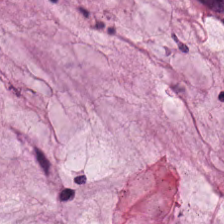Hematoxylin-and-eosin stained section.
This field is extracellular mucin.
